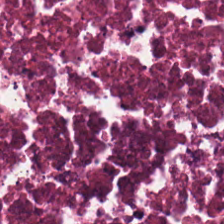Tissue: cellular debris.
